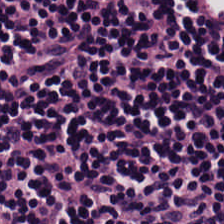0.5 microns per pixel; H&E. Q: What is shown here?
A: Lymphocytic infiltrate.
